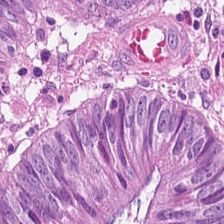H&E. Formalin-fixed paraffin-embedded section. Tissue type = colorectal adenocarcinoma epithelium.
